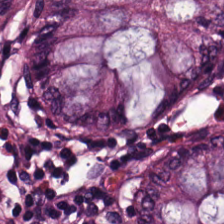H&E. The tissue is normal colon mucosa.
